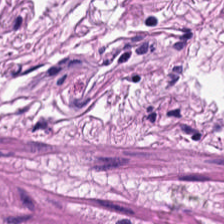224×224 pixel tile. 0.5 µm per pixel. H&E-stained tissue section — Tissue class: smooth-muscle tissue.
